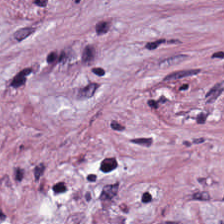Hematoxylin-and-eosin stained section — This field is tumor-associated stroma.
